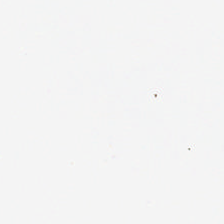Whole-slide-image patch; H&E-stained tissue section; formalin-fixed paraffin-embedded section. Classification — background.
